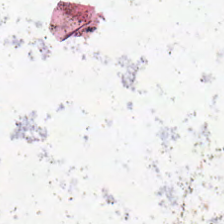Content = no tissue.
